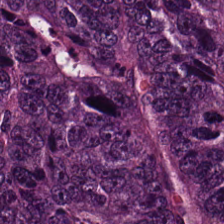Hematoxylin and eosin.
{"tissue_type": "tumor epithelium"}
